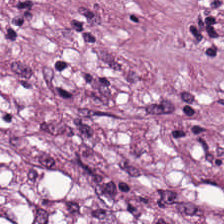{"tissue_type": "tumor stroma"}
